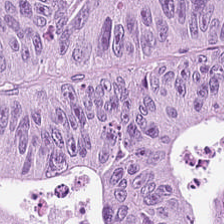Hematoxylin-and-eosin stained section — This patch shows tumor epithelium.
